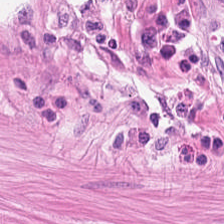20× equivalent magnification · H&E stain · FFPE.
This patch shows muscularis.
